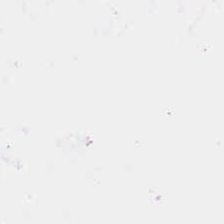H&E-stained tissue section. Histology — no tissue.
